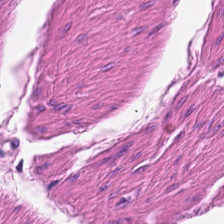H&E — Tissue class — smooth-muscle tissue.
